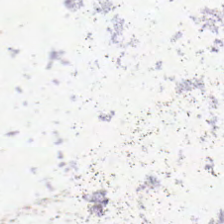H&E. Classification — background (no tissue).
